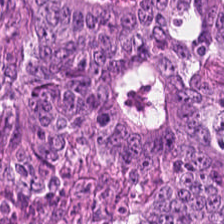The tissue here is colorectal adenocarcinoma.
